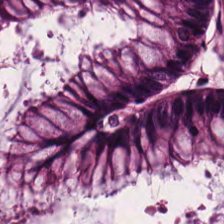Hematoxylin and eosin — Impression — normal colon mucosa.
